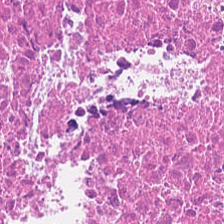H&E stain · 20× equivalent magnification.
Predominant tissue = necrotic debris.
